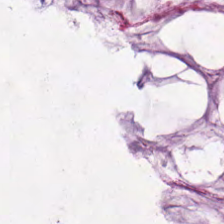Hematoxylin and eosin; brightfield.
This patch shows mucus.
